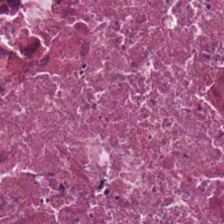Finding → necrotic debris.
